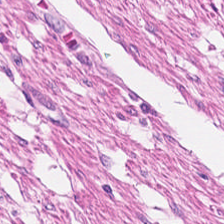H&E — Tissue class: muscularis.
